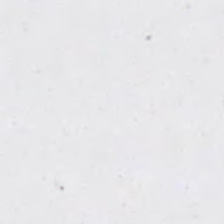Hematoxylin-and-eosin stained section; 224×224 pixel tile.
Classification = no tissue.
